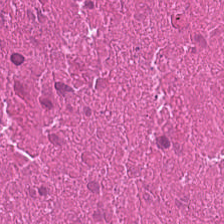The tissue class is necrotic debris.
